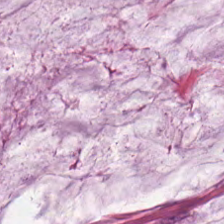H&E.
Predominantly extracellular mucin.
